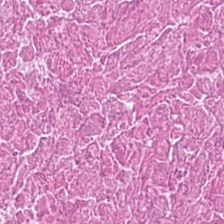H&E.
Finding — cellular debris.
